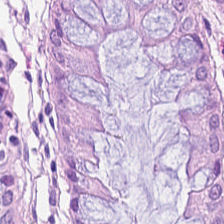Predominant tissue = normal colon mucosa.
